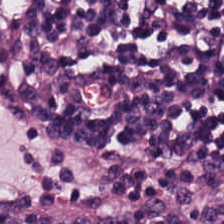Hematoxylin-and-eosin stained section.
Classification = lymphocytes.
